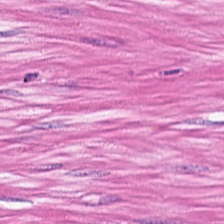H&E.
Classification = smooth-muscle tissue.
